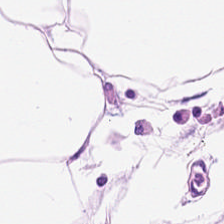FFPE tissue section. H&E stain. Brightfield microscopy. This field is adipose tissue.
